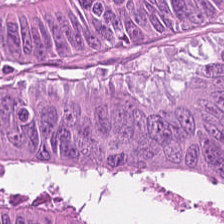Classification: colorectal adenocarcinoma epithelium.
